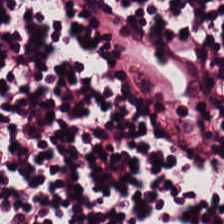H&E; brightfield microscopy — The predominant tissue is lymphocyte aggregate.
